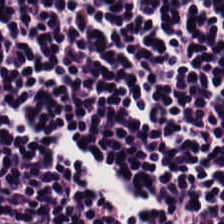Hematoxylin-and-eosin stained section.
Predominantly lymphocytes.
